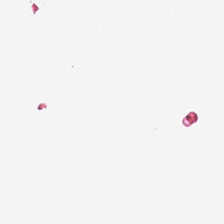Field content: background (no tissue).
